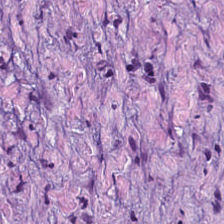Q: What tissue is shown?
A: It is tumor stroma.
